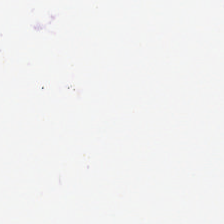Brightfield microscopy · H&E stain · 0.5 µm per pixel.
{"content": "background (no tissue)"}
